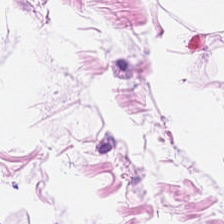Hematoxylin and eosin · 224×224 pixel tile · 0.5 µm per pixel — Showing adipose tissue.
